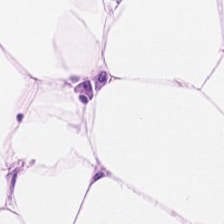H&E-stained tissue section — The tissue is fat tissue.
